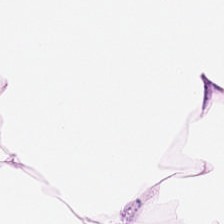H&E.
Tissue class — adipocytes.
